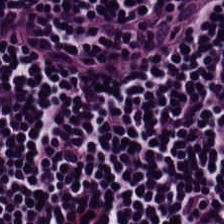Hematoxylin-and-eosin stained section. 224×224 pixel tile — Tissue class = lymphoid infiltrate.
